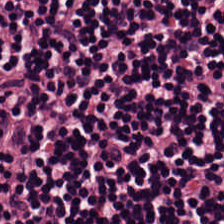H&E-stained tissue section.
The tissue here is lymphoid infiltrate.
